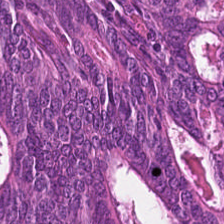0.5 µm/px · H&E stain — This field is colorectal adenocarcinoma.
